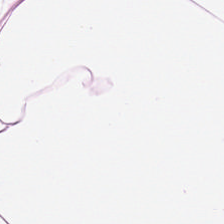Stain: hematoxylin-and-eosin stained section.
Acquisition: brightfield.
Tissue class: adipose tissue.
